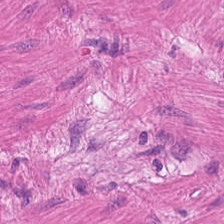FFPE tissue section; H&E-stained tissue section; 224×224 px tile. Predominantly smooth muscle.
